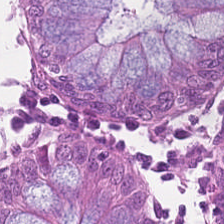Showing non-neoplastic colon mucosa.
